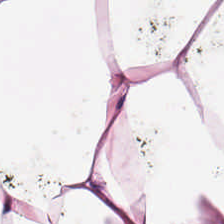H&E. Histology → fat tissue.
